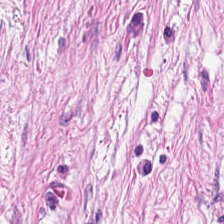H&E stain. 224×224 px patch — Predominant tissue = desmoplastic stroma.
